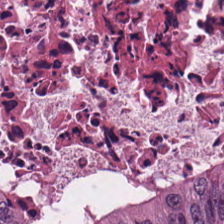The tissue here is cellular debris.
